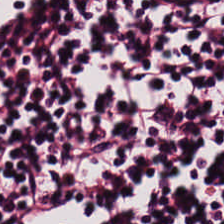224×224 px tile · H&E-stained tissue section. The predominant tissue is lymphocytic infiltrate.
